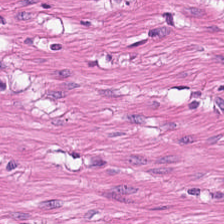Stain: hematoxylin-and-eosin stained section.
Classification: muscularis.
